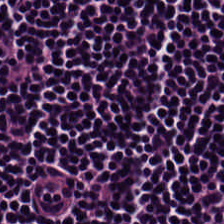H&E.
Lymphoid infiltrate.
